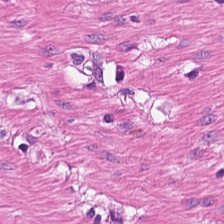Predominantly smooth-muscle tissue.
